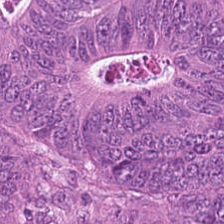Stain: hematoxylin-and-eosin stained section.
Classification: malignant epithelium.
